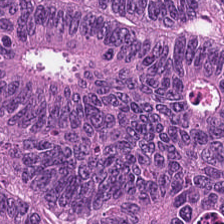H&E-stained tissue section. The predominant tissue is tumor epithelium.
